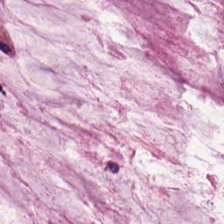224×224 pixel tile; H&E-stained tissue section.
Showing mucus.
